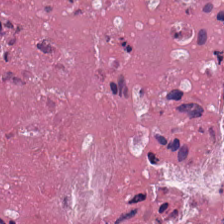Hematoxylin-and-eosin stained section — This patch shows necrotic debris.
